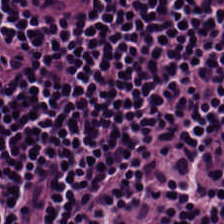H&E-stained tissue section. Q: What does this patch show?
A: This is lymphocytes.
